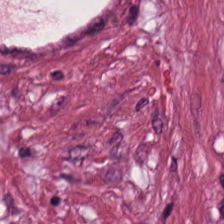Hematoxylin-and-eosin stained section — This patch shows desmoplastic stroma.
